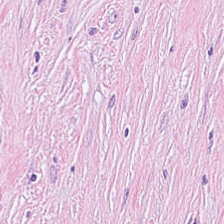Hematoxylin and eosin; FFPE. Histology — cancer-associated stroma.
